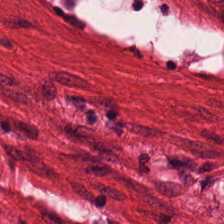H&E-stained section; the field shows muscularis.
